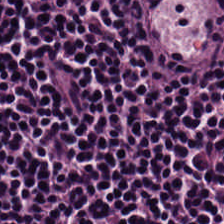Lymphocytes.
